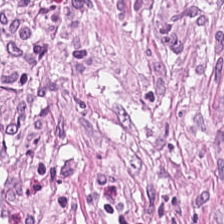Histology → desmoplastic stroma.
